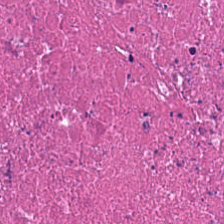0.5 µm/px. H&E stain. WSI patch.
The tissue is debris.
